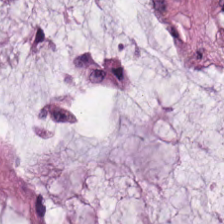H&E stain — Tissue class = extracellular mucin.
